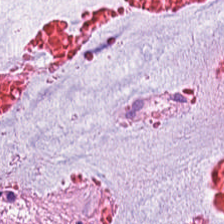H&E. 224×224 px tile.
Predominantly mucus.
